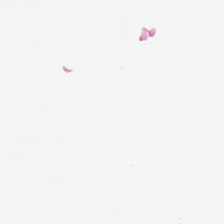Stain: hematoxylin-and-eosin stained section.
Tile size: 224×224 px patch.
Resolution: 0.5 µm per pixel.
Field content: empty background.
